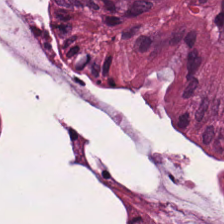Stain: hematoxylin and eosin.
Tissue: non-neoplastic colon mucosa.
